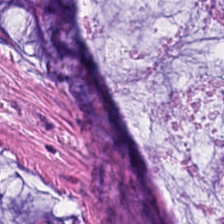H&E-stained tissue section.
{"tissue_type": "mucin"}
